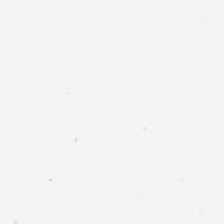H&E stain · FFPE tissue section. Background — no tissue in this field.
